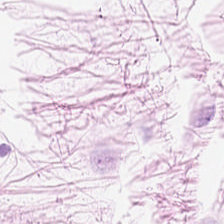{"tissue_type": "adipose tissue"}
